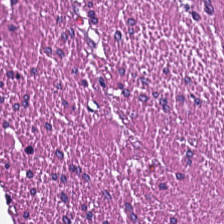Stain: H&E.
Tissue class: smooth-muscle tissue.
